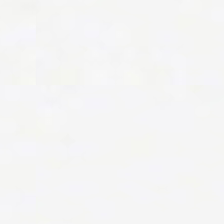{"content": "background (no tissue)"}
